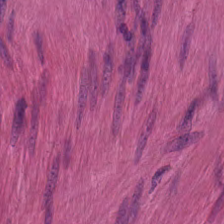Hematoxylin-and-eosin stained section. WSI patch. 0.5 µm/px. Finding → smooth muscle.
